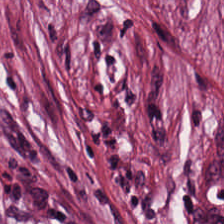Q: What tissue is shown?
A: It is desmoplastic stroma.
